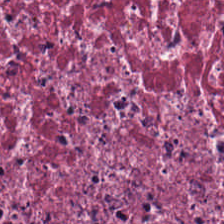H&E-stained tissue section — The predominant tissue is cancer-associated stroma.
